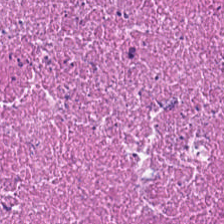H&E — cellular debris.
